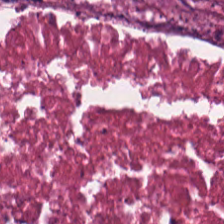Q: What is shown in this field?
A: The field shows cellular debris.
